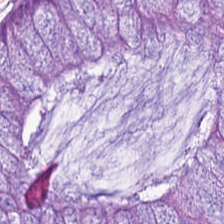H&E-stained tissue section. This field is non-neoplastic colon mucosa.
